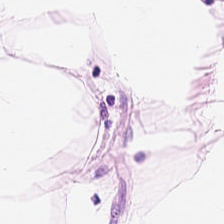H&E-stained tissue section.
The tissue class is adipose.
